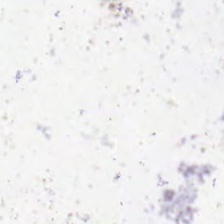No tissue.
